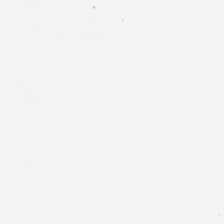Formalin-fixed paraffin-embedded section · H&E-stained tissue section.
Field content = no tissue.
